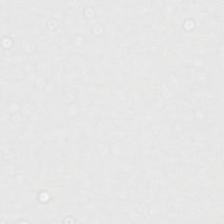H&E stain.
{"content": "no tissue"}
